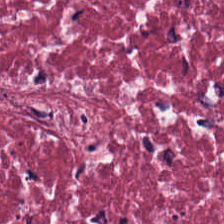Hematoxylin and eosin. This patch shows desmoplastic stroma.
